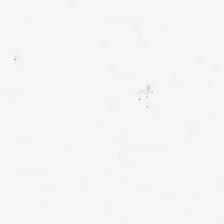224×224 px tile · hematoxylin and eosin. No tissue present; background only.
